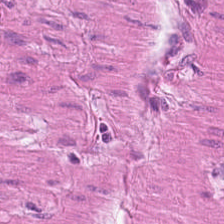H&E.
The tissue here is muscularis.
